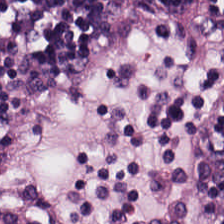Stain: hematoxylin-and-eosin stained section.
Tile size: 224×224 px tile.
Resolution: 0.5 µm/px.
Predominant tissue: lymphocytes.
